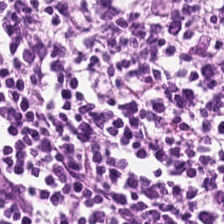Stain: H&E stain.
Acquisition: brightfield microscopy.
Tissue: lymphocyte aggregate.
